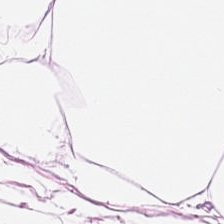H&E-stained tissue section · 224×224 pixel tile — This field is adipose.
